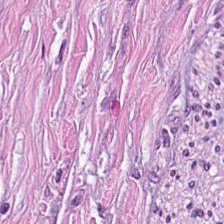Tissue type: tumor-associated stroma.
